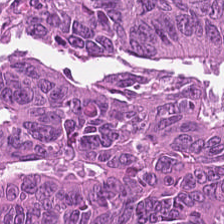Stain: H&E stain.
Classification: tumor epithelium.
